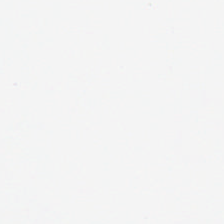Hematoxylin and eosin.
Background — no tissue in this field.
